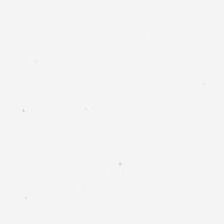Finding → background.
